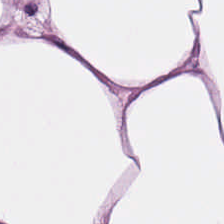H&E-stained tissue section.
Adipose.
